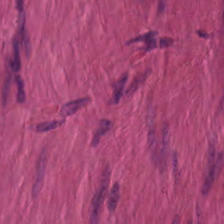Tissue: muscularis.
